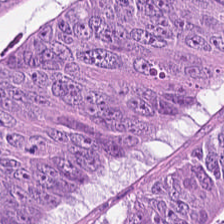H&E-stained tissue section.
Showing malignant epithelium.
